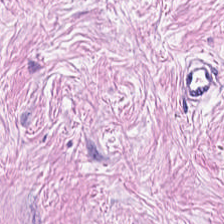Hematoxylin-and-eosin stained section; 0.5 µm/px. Tissue: tumor-associated stroma.
